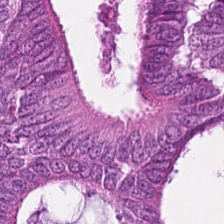Hematoxylin and eosin. 224×224 pixel tile.
Classification — adenocarcinoma.
